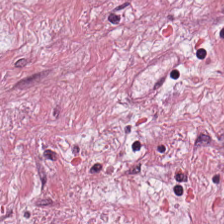H&E stain · 0.5 microns per pixel — The tissue here is tumor stroma.
